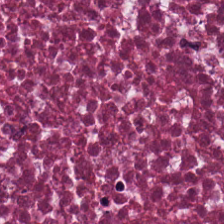H&E-stained tissue section.
Finding — debris.
